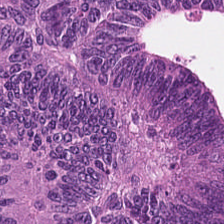Classification: adenocarcinoma.
